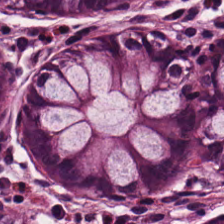Hematoxylin and eosin. 0.5 µm/px. Showing normal colonic mucosa.
